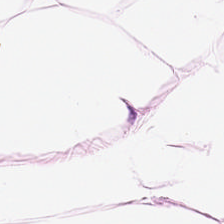Hematoxylin-and-eosin stained section — The tissue type is adipocytes.
